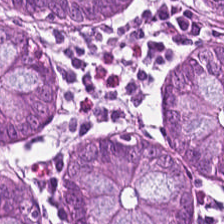20× equivalent magnification · hematoxylin and eosin — This field is non-neoplastic colon mucosa.
